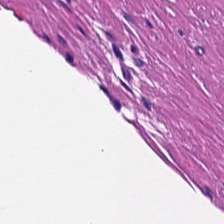H&E stain; 0.5 microns per pixel — This patch shows smooth-muscle tissue.
